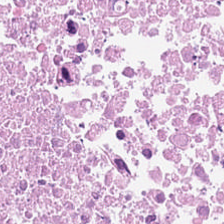0.5 µm/px; H&E-stained tissue section.
{"tissue_type": "cellular debris"}
